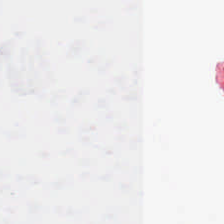Finding → no tissue.
